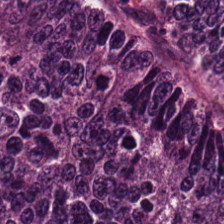Stain: hematoxylin-and-eosin stained section.
Tissue: tumor epithelium.
